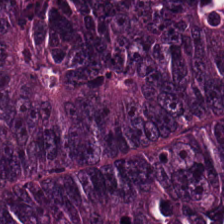224×224 pixel tile · H&E — Q: Identify the tissue.
A: Colorectal adenocarcinoma.
